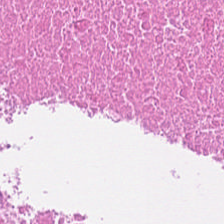224×224 px patch; H&E stain; 0.5 µm/px — The predominant tissue is debris.
